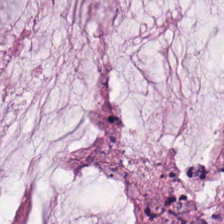224×224 px patch; hematoxylin-and-eosin stained section. Q: What is shown here?
A: It is mucus.
